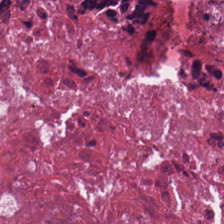0.5 microns per pixel. 224×224 pixel tile. H&E-stained tissue section. Q: Classify this patch.
A: The field shows debris.
